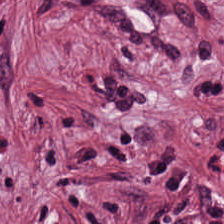224×224 px tile; H&E stain. Q: Identify the tissue.
A: This is tumor stroma.
